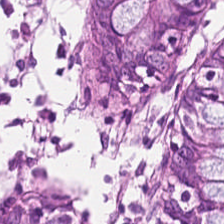H&E — normal colon mucosa.
